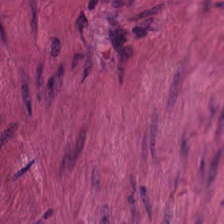H&E.
Tissue type: smooth muscle.
